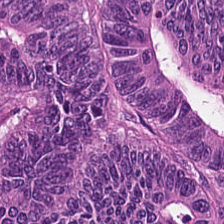Hematoxylin and eosin. 0.5 µm/px. FFPE tissue section.
Showing tumor epithelium.
